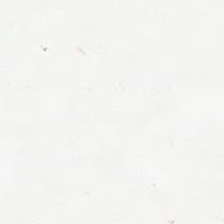Hematoxylin-and-eosin stained section. FFPE. WSI patch — Background — no tissue in this field.
